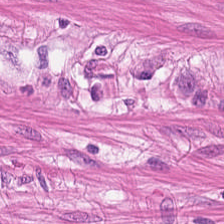224×224 px tile. H&E-stained tissue section — Tissue type: smooth muscle.
